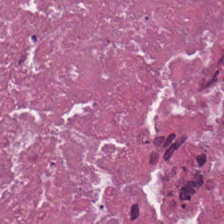{"tissue_type": "debris"}
